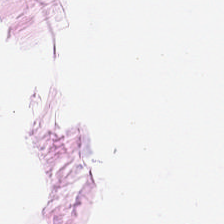Predominant tissue = adipose.
